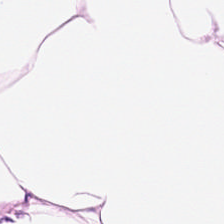H&E stain.
This field is fat tissue.
